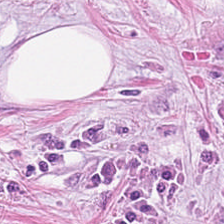The tissue class is cancer-associated stroma.
